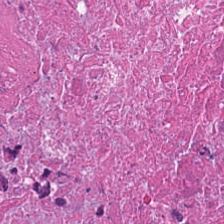The tissue type is debris.
